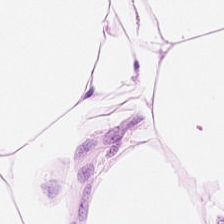Impression — adipose.
